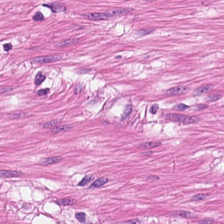H&E-stained tissue section · 20× equivalent magnification — Predominantly muscularis.
